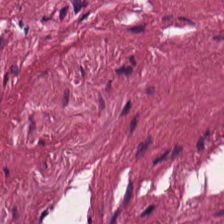H&E-stained tissue section · whole-slide-image patch · FFPE tissue section — The tissue here is desmoplastic stroma.
